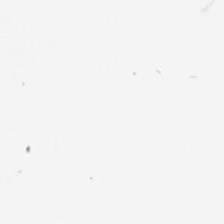20× equivalent magnification; hematoxylin-and-eosin stained section. Field content — no tissue.
